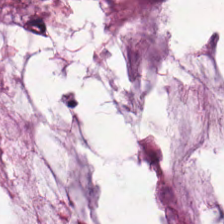H&E patch showing mucus.
